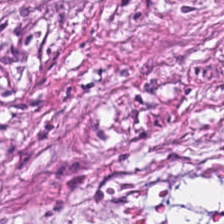H&E stain. Histology — tumor-associated stroma.
